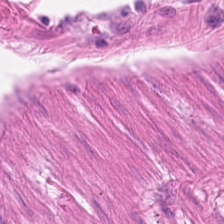Q: What tissue is shown?
A: The field shows muscularis.
